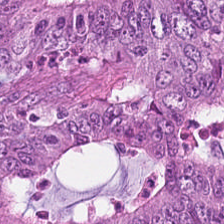H&E. Showing malignant epithelium.
